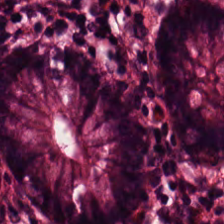H&E-stained tissue section — Predominantly normal colon mucosa.
